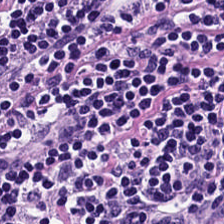224×224 px patch; H&E-stained tissue section — Q: What does this patch show?
A: It is lymphocytic infiltrate.
